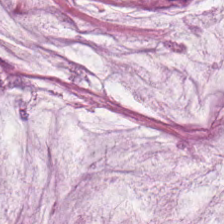Stain: H&E.
Tissue: mucus.
